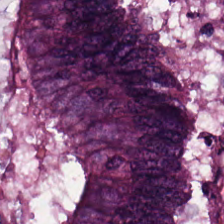Hematoxylin and eosin · 224×224 pixel tile — The tissue class is tumor epithelium.
